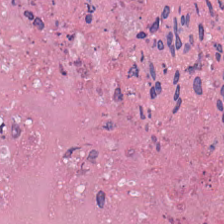224×224 px patch. H&E stain — The predominant tissue is necrotic debris.
